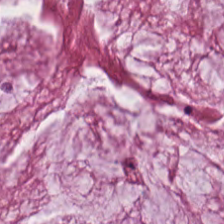0.5 microns per pixel; H&E stain — {"tissue_type": "mucin"}
